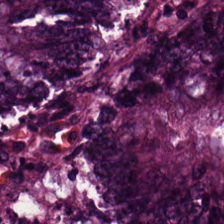Tissue class: tumor epithelium.
